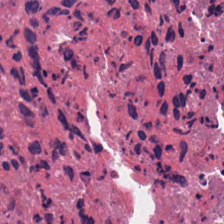H&E stain.
{"tissue_type": "cellular debris"}
